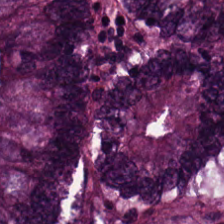Hematoxylin and eosin. Predominant tissue: colorectal adenocarcinoma.
